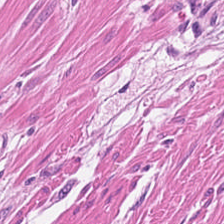H&E patch showing muscularis.
